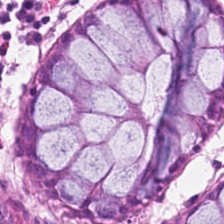The predominant tissue is non-neoplastic colon mucosa.
